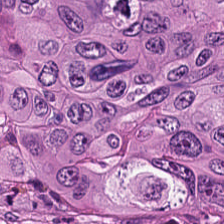H&E — Predominant tissue = tumor epithelium.
